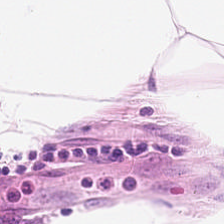H&E. Q: What is the predominant tissue type?
A: This is fat tissue.
